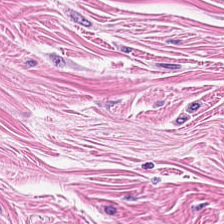Hematoxylin-and-eosin stained section — Muscularis.
